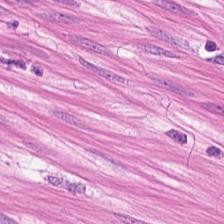H&E stain; 0.5 microns per pixel. Tissue class: muscularis.
